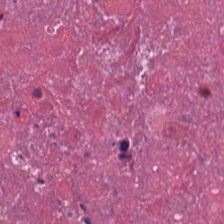Whole-slide-image patch. FFPE. Hematoxylin-and-eosin stained section.
Predominant tissue: necrotic debris.
